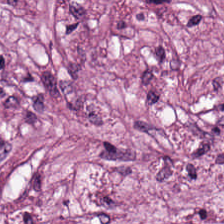Hematoxylin-and-eosin stained section; 224×224 px tile — Classification — tumor-associated stroma.
